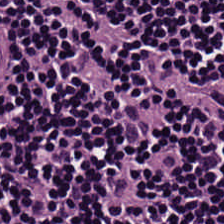FFPE tissue section. H&E stain — Tissue: lymphoid infiltrate.
